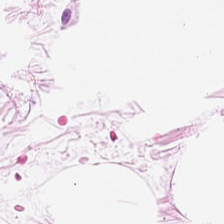Stain: hematoxylin and eosin.
Acquisition: whole-slide-image patch.
Classification: adipose.
